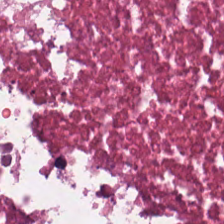H&E · 224×224 px tile.
The tissue here is cellular debris.
